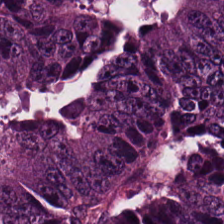Histology → colorectal adenocarcinoma epithelium.
